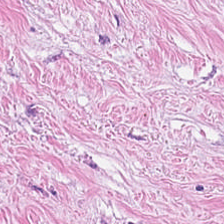Formalin-fixed paraffin-embedded section. Hematoxylin-and-eosin stained section — Histology → cancer-associated stroma.
